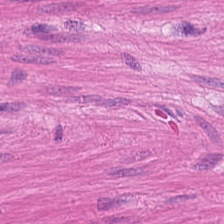H&E-stained section; the field shows smooth-muscle tissue.
